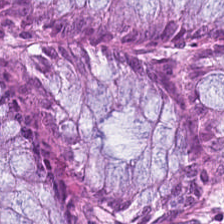H&E; 224×224 pixel tile — Tissue type — benign colonic mucosa.
